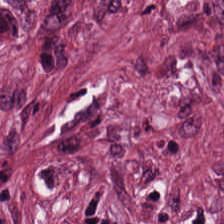Stain: H&E stain.
Predominant tissue: tumor stroma.
